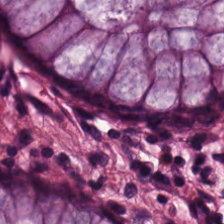Impression → normal colon mucosa.
